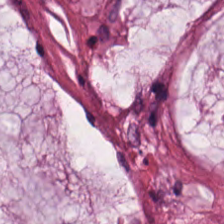224×224 px tile. Hematoxylin and eosin — The predominant tissue is mucus.
